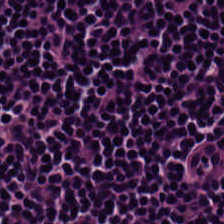FFPE. H&E-stained tissue section.
This patch shows lymphocyte aggregate.
